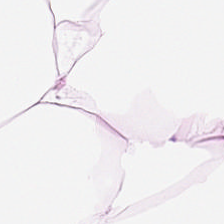Hematoxylin-and-eosin section: adipocytes.
